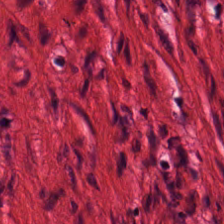H&E-stained tissue section. WSI patch. 224×224 px tile — Showing smooth-muscle tissue.
